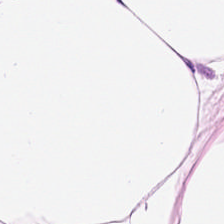H&E stain; WSI patch.
Impression → adipose.
